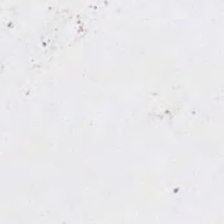H&E-stained tissue section — Content: no tissue.
